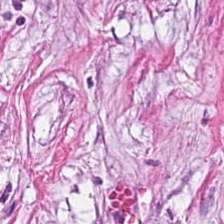0.5 microns per pixel. H&E-stained tissue section. WSI patch — This patch shows cancer-associated stroma.
